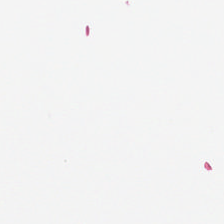Classification = background (no tissue).
